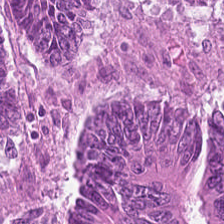Stain: hematoxylin and eosin.
Classification: colorectal adenocarcinoma.
